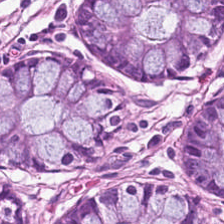Q: What tissue is shown?
A: It is normal colonic mucosa.
